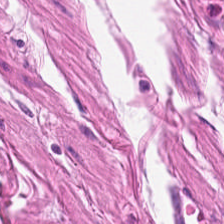H&E — The tissue here is muscularis.
